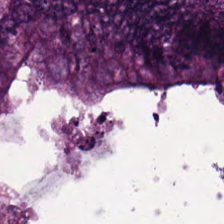H&E stain — Q: What tissue is shown?
A: This is colorectal adenocarcinoma.
